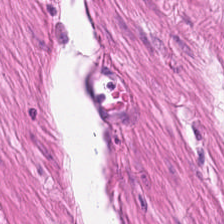This field is smooth muscle.
